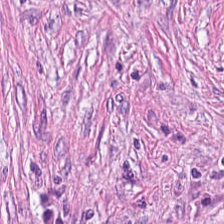224×224 px tile · FFPE · H&E-stained tissue section. This field is tumor stroma.
